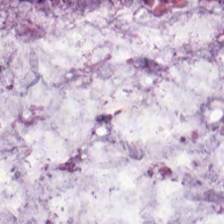H&E stain. WSI patch — The predominant tissue is mucus.
